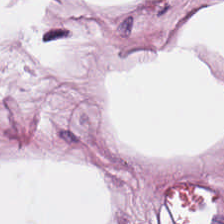Stain: H&E.
Tissue: adipose.
